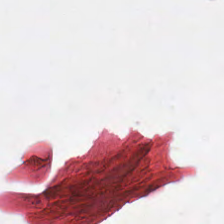224×224 px patch; H&E; brightfield. Histology — empty background.
